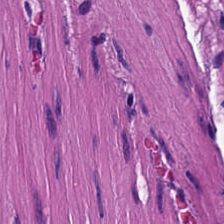{"tissue_type": "smooth muscle"}
